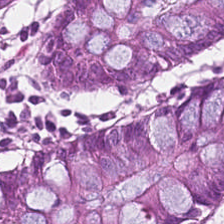H&E-stained section; the field shows normal colonic mucosa.
